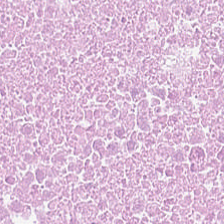Q: What tissue is shown?
A: It is necrotic debris.
